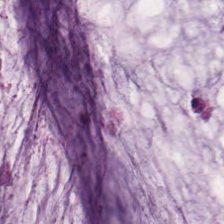Formalin-fixed paraffin-embedded section. Hematoxylin and eosin.
Extracellular mucin.
